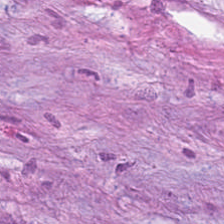The predominant tissue is tumor stroma.
